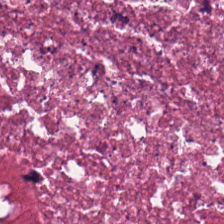H&E stain; FFPE tissue section — Classification = cellular debris.
